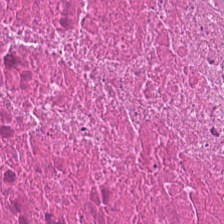Showing debris.
